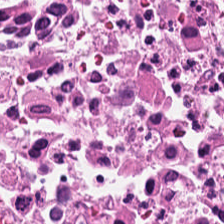Hematoxylin-and-eosin stained section — {"tissue_type": "necrotic debris"}
